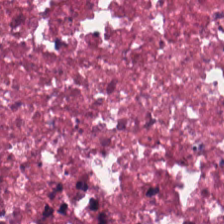Hematoxylin-and-eosin stained section — Classification — cellular debris.
